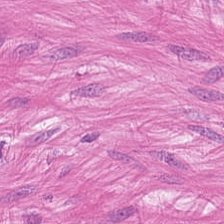224×224 px patch. FFPE tissue section. H&E stain. Predominant tissue = smooth-muscle tissue.
